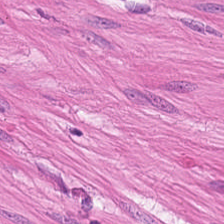{"tissue_type": "muscularis"}
